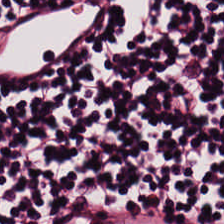Stain: hematoxylin-and-eosin stained section.
Preparation: FFPE.
Acquisition: whole-slide-image patch.
Classification: lymphocytes.
